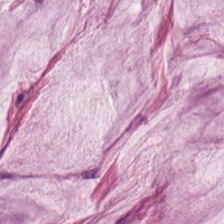0.5 microns per pixel. Brightfield microscopy. Hematoxylin-and-eosin stained section. Q: What tissue type is shown here?
A: The field shows extracellular mucin.
